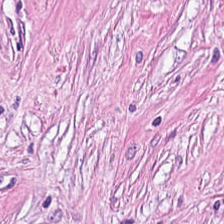Hematoxylin-and-eosin stained section. Tissue = tumor-associated stroma.
